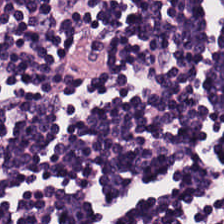FFPE tissue section. Hematoxylin-and-eosin stained section — Tissue: lymphocytic infiltrate.
